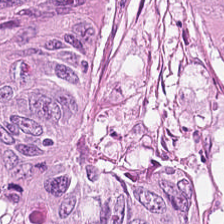0.5 µm per pixel. H&E-stained tissue section.
This field is colorectal adenocarcinoma epithelium.
